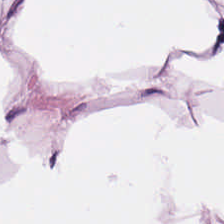H&E — Histology — adipose tissue.
